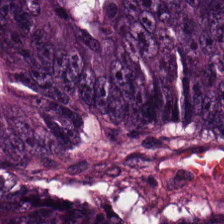Showing tumor epithelium.
